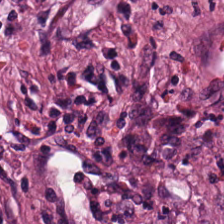Hematoxylin and eosin.
This field is tumor-associated stroma.
